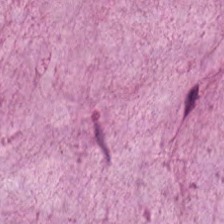H&E stain. Impression — mucus.
